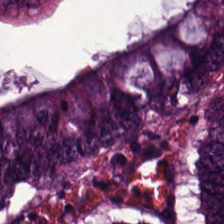Hematoxylin and eosin — The tissue here is tumor epithelium.
